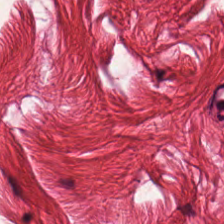Hematoxylin-and-eosin stained section.
Predominant tissue — smooth-muscle tissue.
